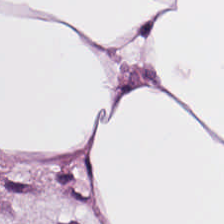0.5 µm/px · hematoxylin-and-eosin stained section. Finding → adipose tissue.
